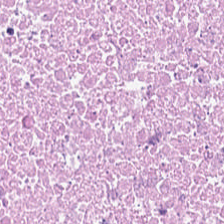H&E-stained tissue section.
The classification is necrotic debris.
